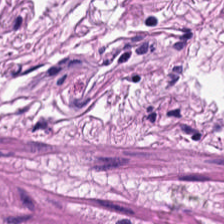Hematoxylin-and-eosin stained section · formalin-fixed paraffin-embedded section · brightfield — Tissue class — muscularis.
